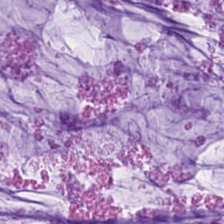H&E; 0.5 µm per pixel; formalin-fixed paraffin-embedded section. Histology — extracellular mucin.
